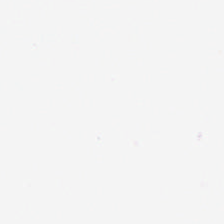Brightfield. 0.5 microns per pixel. H&E-stained tissue section — Field content — background (no tissue).
